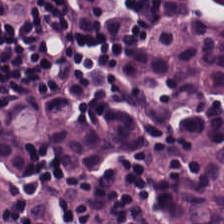224×224 px tile. H&E-stained tissue section. Classification — lymphocytic infiltrate.
